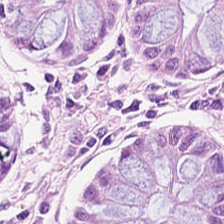FFPE; H&E stain.
Predominant tissue: benign colonic mucosa.
